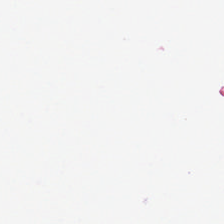Field content — no tissue.
